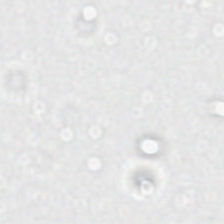Finding → no tissue.
